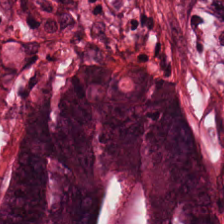H&E.
The predominant tissue is colorectal adenocarcinoma epithelium.
